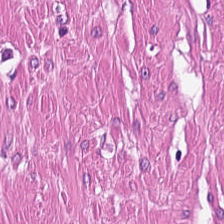H&E stain · 0.5 µm/px. Classification: smooth-muscle tissue.
